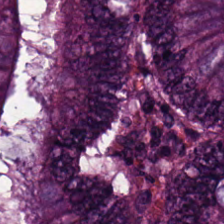H&E — The tissue here is colorectal adenocarcinoma epithelium.
